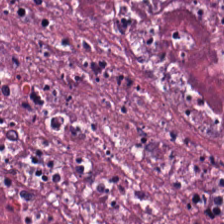Showing cellular debris.
